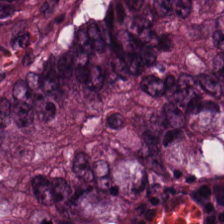Colorectal adenocarcinoma epithelium.
